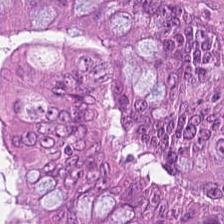Stain: H&E stain.
Tissue: colorectal adenocarcinoma.
